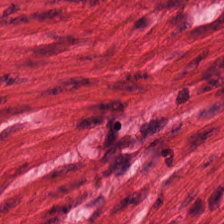Predominantly smooth-muscle tissue.
